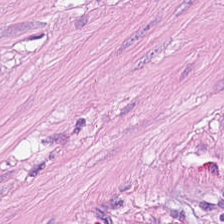Hematoxylin and eosin. Predominantly muscularis.
